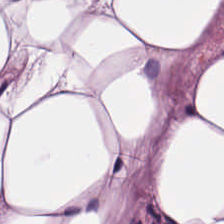Stain: H&E-stained tissue section.
Classification: fat tissue.
